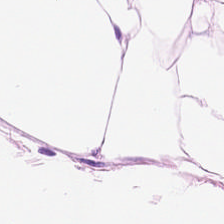This field is adipocytes.
